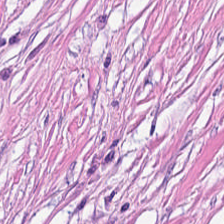WSI patch. Hematoxylin-and-eosin stained section. Predominantly tumor-associated stroma.
